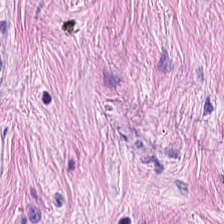H&E-stained tissue section. Q: What tissue is shown?
A: This is tumor-associated stroma.
